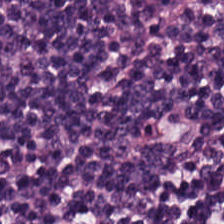H&E-stained tissue section; WSI patch.
This patch shows lymphoid infiltrate.
